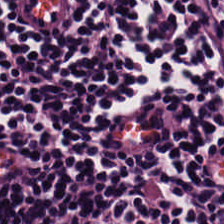Stain: hematoxylin and eosin.
Tissue type: lymphoid infiltrate.
